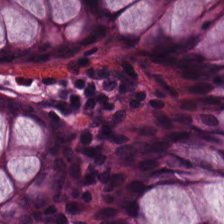Finding — non-neoplastic colon mucosa.
